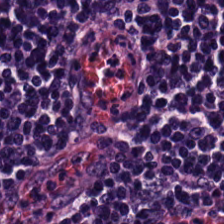H&E — Tissue type: lymphoid infiltrate.
